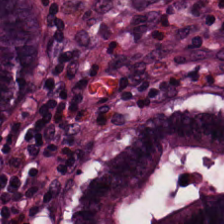H&E-stained tissue section. Formalin-fixed paraffin-embedded section — Tissue class: normal colonic mucosa.
